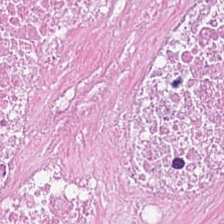Hematoxylin and eosin; FFPE; 20× equivalent magnification — Histology → necrotic debris.
